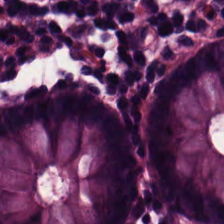Hematoxylin and eosin. Benign colonic mucosa.
